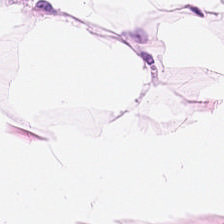WSI patch; hematoxylin and eosin — Predominantly fat tissue.
